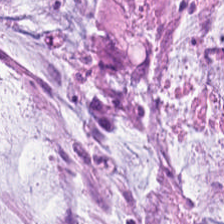Stain: H&E.
Preparation: formalin-fixed paraffin-embedded section.
Predominant tissue: extracellular mucin.
